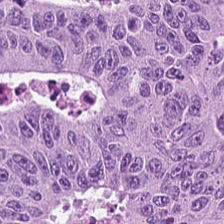H&E.
The tissue here is malignant epithelium.
